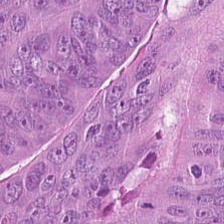Q: Identify the tissue.
A: The field shows adenocarcinoma.
